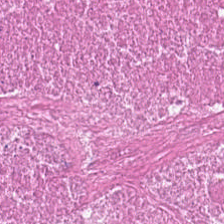224×224 px patch; WSI patch; H&E-stained tissue section.
{"tissue_type": "cellular debris"}
